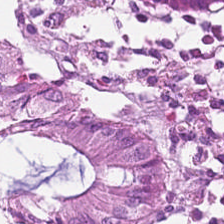Stain: H&E.
Classification: non-neoplastic colon mucosa.
